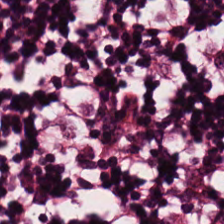Stain: hematoxylin-and-eosin stained section.
Preparation: formalin-fixed paraffin-embedded section.
Tissue class: lymphocytic infiltrate.
